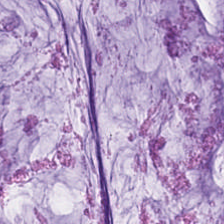H&E-stained tissue section. This patch shows mucus.
